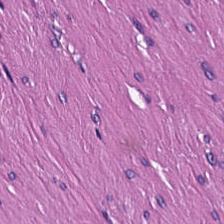Formalin-fixed paraffin-embedded section; H&E-stained tissue section — {"tissue_type": "smooth-muscle tissue"}
